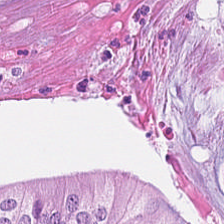WSI patch. Hematoxylin and eosin — Finding — colorectal adenocarcinoma.
